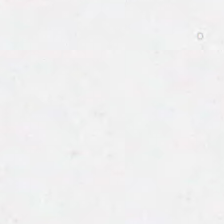H&E-stained tissue section. This patch shows empty background.
